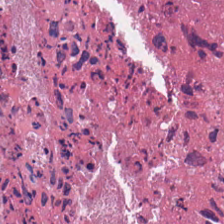H&E stain — Q: What type of tissue is this?
A: Necrotic debris.
